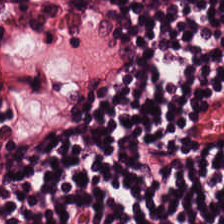Hematoxylin-and-eosin stained section; formalin-fixed paraffin-embedded section. Tissue type = lymphocytes.
